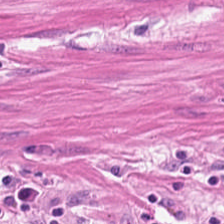H&E — The predominant tissue is smooth muscle.
